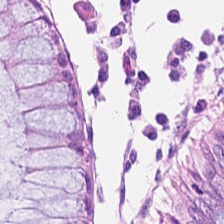Formalin-fixed paraffin-embedded section. Hematoxylin and eosin — The tissue type is normal colon mucosa.
